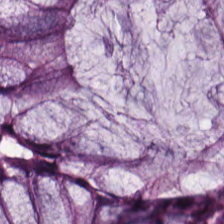Hematoxylin-and-eosin stained section. Predominant tissue — non-neoplastic colon mucosa.
